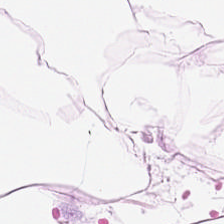Hematoxylin-and-eosin stained section.
{"tissue_type": "adipose tissue"}
